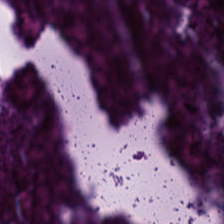This field is necrotic debris.
